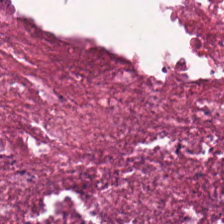H&E. FFPE tissue section — Histology → cellular debris.
